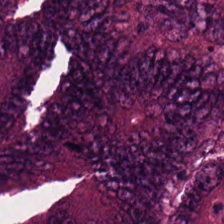FFPE; H&E.
Q: What is the predominant tissue type?
A: It is tumor epithelium.
